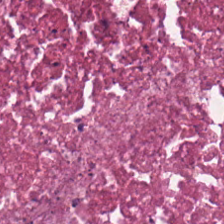{"tissue_type": "necrotic debris"}
